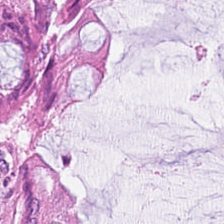Hematoxylin-and-eosin stained section.
The predominant tissue is benign colonic mucosa.
